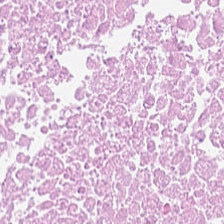H&E-stained section; the field shows debris.
